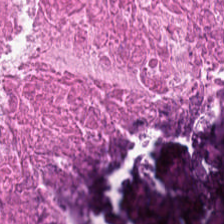Hematoxylin and eosin. This field is debris.
